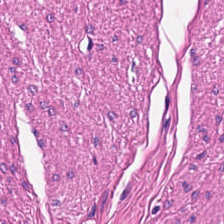H&E stain; FFPE — Showing smooth muscle.
